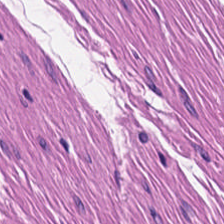WSI patch. H&E.
Classification — muscularis.
